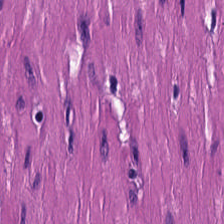Brightfield microscopy. 0.5 microns per pixel. Hematoxylin-and-eosin stained section. {"tissue_type": "smooth muscle"}
